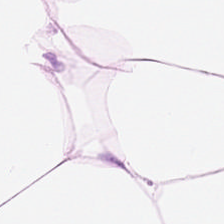Stain: hematoxylin-and-eosin stained section.
Acquisition: brightfield.
Classification: adipose.
